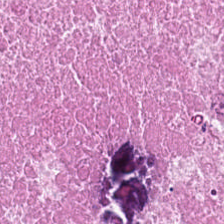Whole-slide-image patch · 224×224 pixel tile · hematoxylin-and-eosin stained section — The tissue here is cellular debris.
